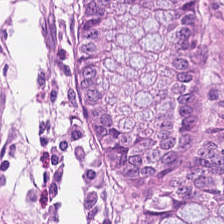H&E-stained tissue section — Classification: benign colonic mucosa.
